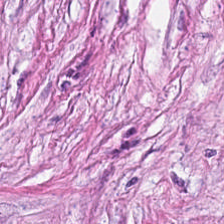H&E-stained tissue section. 0.5 microns per pixel. FFPE tissue section. Q: What is the predominant tissue type?
A: The field shows cancer-associated stroma.
